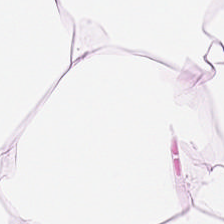Brightfield microscopy · FFPE tissue section · hematoxylin-and-eosin stained section — {"tissue_type": "adipocytes"}
